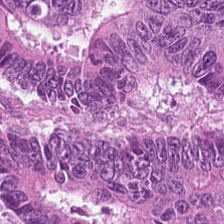Predominant tissue: colorectal adenocarcinoma.
